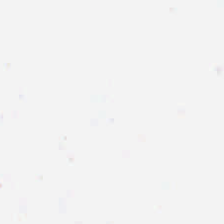Q: What is shown in this field?
A: The field shows background.
